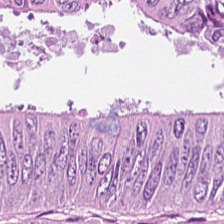The predominant tissue is adenocarcinoma.
